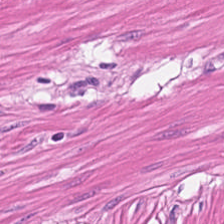The classification is smooth-muscle tissue.
